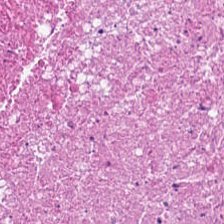Stain: H&E.
Tissue type: debris.
